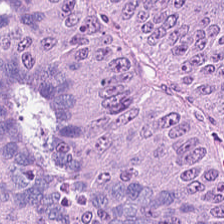Tissue = tumor epithelium.
